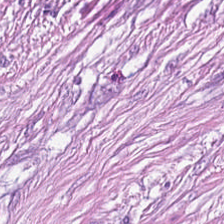Hematoxylin-and-eosin stained section — Classification — cancer-associated stroma.
